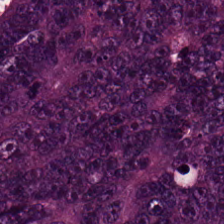Q: What is the predominant tissue type?
A: Tumor epithelium.
